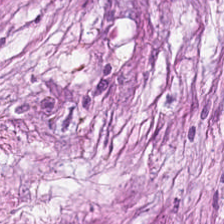Hematoxylin and eosin. This field is desmoplastic stroma.
